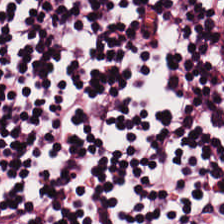FFPE tissue section · hematoxylin-and-eosin stained section.
Q: What is the predominant tissue type?
A: The field shows lymphoid infiltrate.
